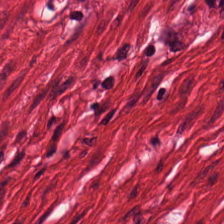Classification: smooth muscle.
